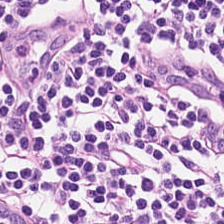Hematoxylin-and-eosin stained section — Tissue class — lymphocytes.
